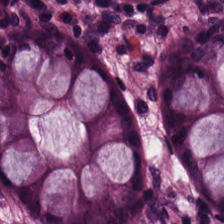Stain: hematoxylin and eosin.
Tissue class: non-neoplastic colon mucosa.
